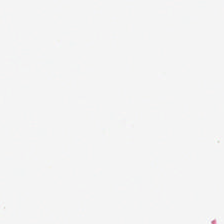Finding — background.
